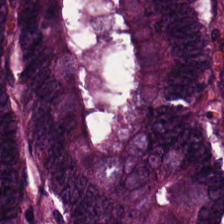H&E · 224×224 pixel tile. This patch shows colorectal adenocarcinoma epithelium.
